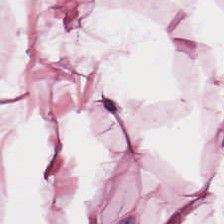Stain: H&E-stained tissue section.
Classification: fat tissue.
